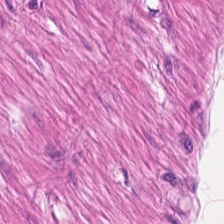224×224 px patch · hematoxylin and eosin.
Finding — smooth-muscle tissue.
